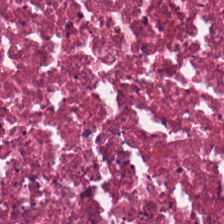0.5 microns per pixel. FFPE. Hematoxylin-and-eosin stained section.
The tissue is necrotic debris.
